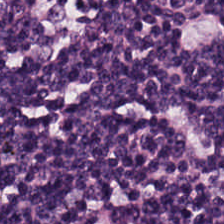H&E stain.
{"tissue_type": "lymphocytic infiltrate"}
